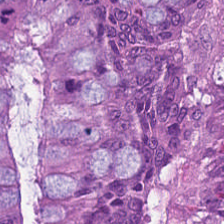Brightfield · H&E stain · 224×224 pixel tile. Predominant tissue — adenocarcinoma.
